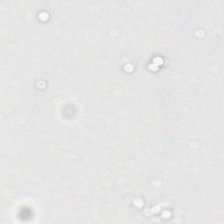Hematoxylin-and-eosin stained section; FFPE tissue section; 0.5 microns per pixel. No tissue present; background only.
